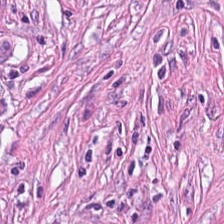Hematoxylin and eosin.
Q: What tissue type is shown here?
A: The field shows tumor-associated stroma.
